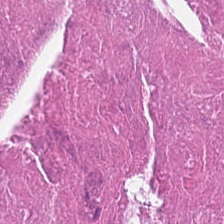H&E; brightfield microscopy — The tissue here is debris.
